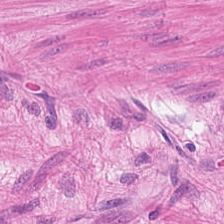Hematoxylin-and-eosin stained section; FFPE — Q: Identify the tissue.
A: It is smooth-muscle tissue.
